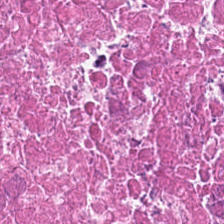The tissue here is cellular debris.
